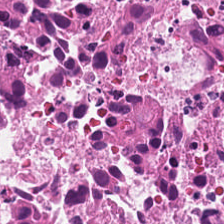Hematoxylin-and-eosin section: necrotic debris.
